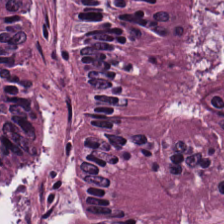Hematoxylin-and-eosin stained section.
The tissue type is adenocarcinoma.
